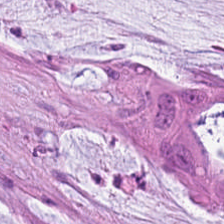H&E stain. Tissue type — extracellular mucin.
